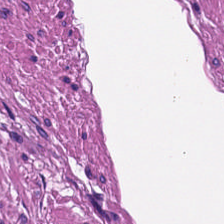Q: What tissue is shown?
A: Muscularis.
